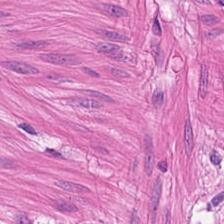Predominantly muscularis.
